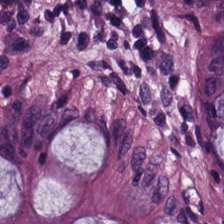Hematoxylin and eosin — This patch shows normal colonic mucosa.
